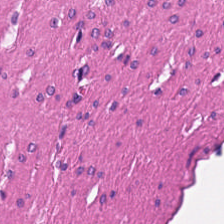20× equivalent magnification; H&E. Smooth muscle.
